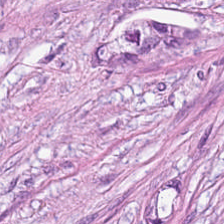FFPE tissue section. 20× equivalent magnification. H&E stain.
Histology — tumor-associated stroma.
